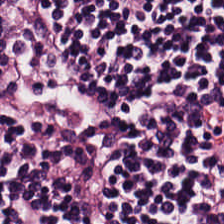Hematoxylin-and-eosin stained section · 224×224 px patch.
Predominant tissue: lymphocyte aggregate.
